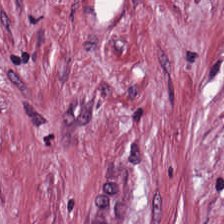Hematoxylin and eosin — Showing tumor-associated stroma.
